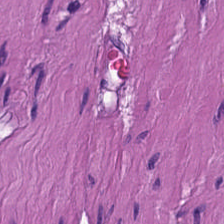Hematoxylin-and-eosin stained section; 224×224 px tile; FFPE.
{"tissue_type": "smooth muscle"}
